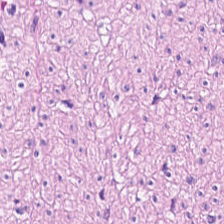H&E stain; WSI patch; 224×224 px patch — Predominantly muscularis.
